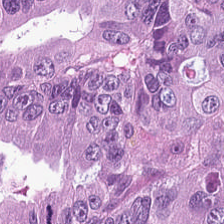H&E stain. Q: What is the predominant tissue type?
A: It is adenocarcinoma.
